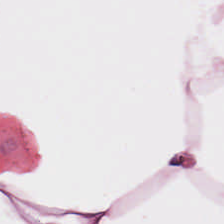Classification — adipose tissue.
